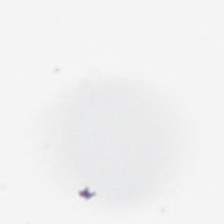H&E-stained tissue section. {"content": "empty background"}
